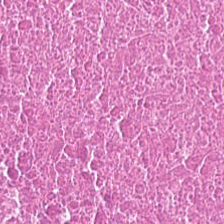Hematoxylin and eosin.
Histology — necrotic debris.
